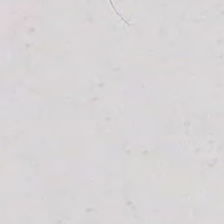Content: no tissue.
